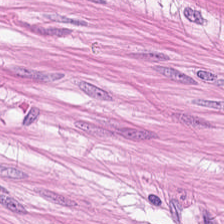WSI patch; hematoxylin and eosin.
Predominantly smooth-muscle tissue.
